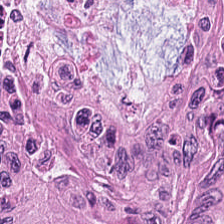Brightfield microscopy. H&E stain.
Showing malignant epithelium.
